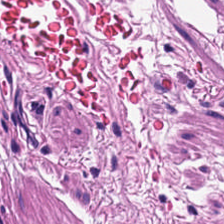Tissue type: muscularis.
